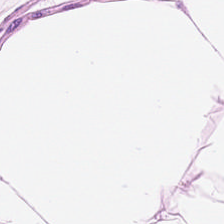Q: What tissue is shown?
A: The field shows adipose.
